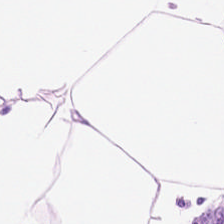Hematoxylin-and-eosin stained section.
Tissue type: adipose tissue.
